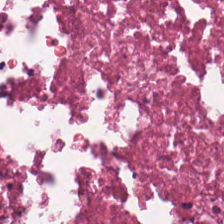0.5 µm/px. H&E stain. {"tissue_type": "cellular debris"}
